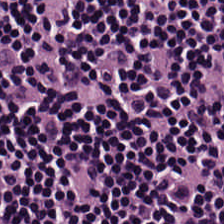WSI patch; H&E-stained tissue section; 224×224 px tile. Histology — lymphocyte aggregate.
